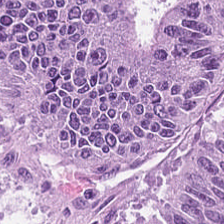Stain: hematoxylin and eosin.
Resolution: 0.5 µm per pixel.
Preparation: FFPE tissue section.
Tissue class: adenocarcinoma.
